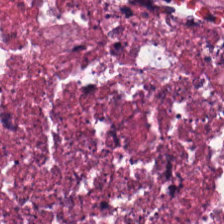Hematoxylin and eosin; WSI patch; 224×224 pixel tile.
The predominant tissue is debris.
